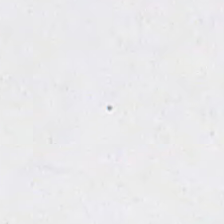Q: What does this patch show?
A: It is background (no tissue).
